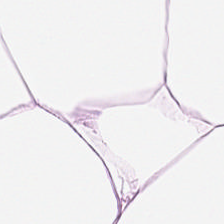224×224 px patch. H&E — Classification — adipocytes.
